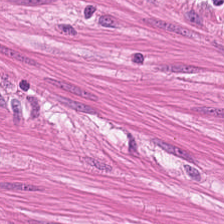Q: What is the predominant tissue type?
A: Smooth-muscle tissue.
